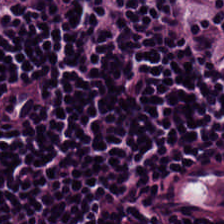Q: What is shown here?
A: Lymphocytes.
